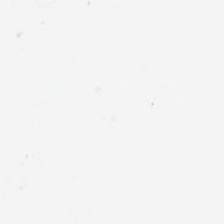No tissue present; background only.
